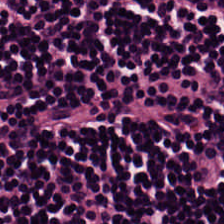Hematoxylin-and-eosin stained section; FFPE.
The tissue class is lymphocyte aggregate.
